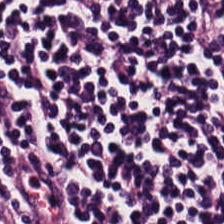20× equivalent magnification; H&E stain — This patch shows lymphocyte aggregate.
